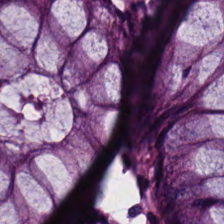H&E — normal colonic mucosa.
